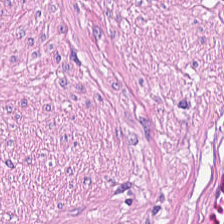Q: What tissue is shown?
A: This is smooth muscle.
